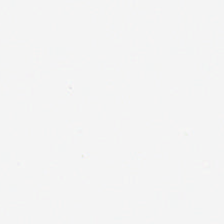No tissue present; background only.
